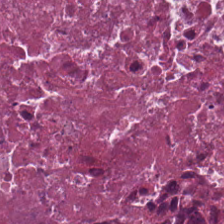Hematoxylin and eosin — This field is cellular debris.
